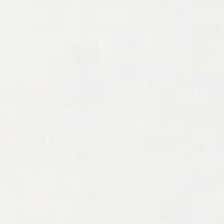Brightfield. H&E stain.
Empty field — no tissue.
